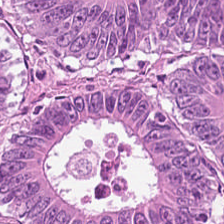Stain: hematoxylin-and-eosin stained section.
Tissue: colorectal adenocarcinoma.
